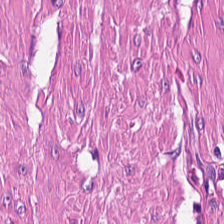Formalin-fixed paraffin-embedded section; H&E-stained tissue section; 0.5 µm/px. Impression — muscularis.
